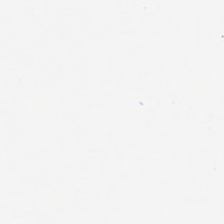Hematoxylin-and-eosin stained section.
This field is background (no tissue).
